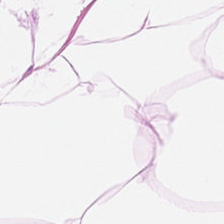H&E patch showing adipose tissue.
